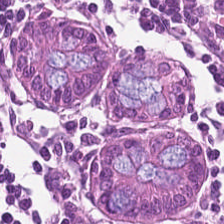Hematoxylin-and-eosin stained section — This patch shows normal colon mucosa.
